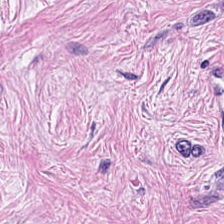Hematoxylin-and-eosin stained section · 0.5 µm/px · brightfield. Tissue class = tumor stroma.
